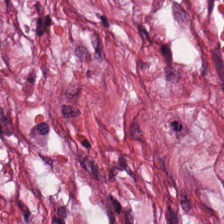This field is cancer-associated stroma.
